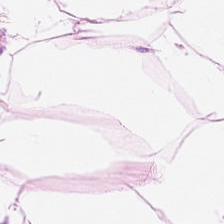Hematoxylin-and-eosin stained section. 0.5 µm per pixel. The tissue here is adipose.
